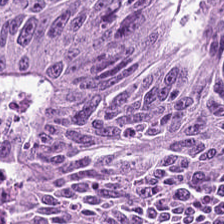H&E stain.
{"tissue_type": "tumor epithelium"}
